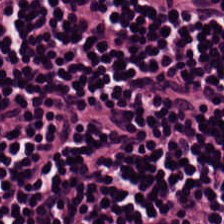H&E — The tissue class is lymphocytic infiltrate.
